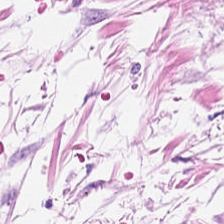Tissue type — adipose.
